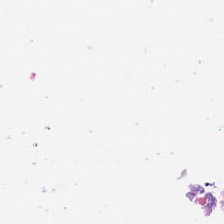H&E-stained tissue section; 224×224 px tile — Q: What is shown here?
A: This is background (no tissue).
